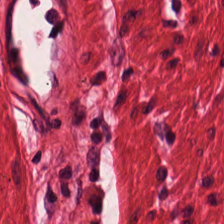0.5 µm per pixel; hematoxylin and eosin — Smooth muscle.
